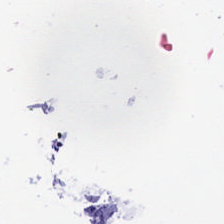Finding — empty background.
